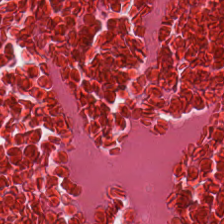Q: What tissue is shown?
A: It is necrotic debris.
